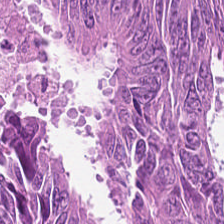Stain: hematoxylin-and-eosin stained section.
Tissue: colorectal adenocarcinoma epithelium.
